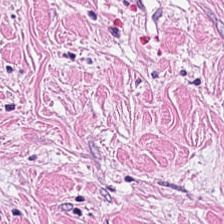H&E stain — Histology — desmoplastic stroma.
